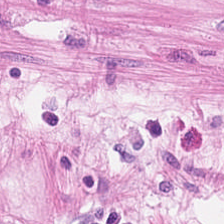H&E stain.
Showing smooth-muscle tissue.
